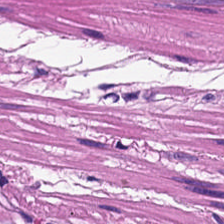Hematoxylin and eosin — The tissue here is muscularis.
